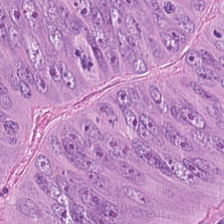H&E stain. WSI patch. 224×224 px patch — The tissue here is adenocarcinoma.
